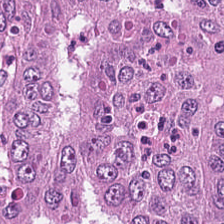H&E stain. Q: Classify this patch.
A: It is colorectal adenocarcinoma epithelium.
